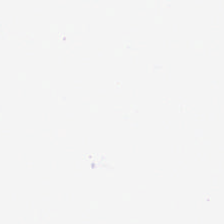Background — no tissue in this field.
